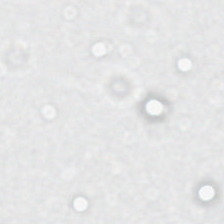Stain: H&E stain.
Content: empty background.
